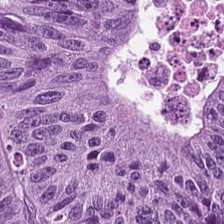0.5 µm per pixel; H&E — This field is malignant epithelium.
